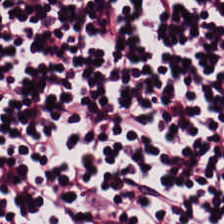FFPE tissue section. Hematoxylin-and-eosin stained section. Q: Classify this patch.
A: The field shows lymphoid infiltrate.
